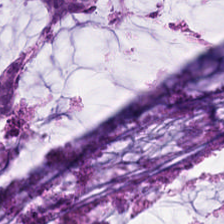H&E — Predominantly mucus.
